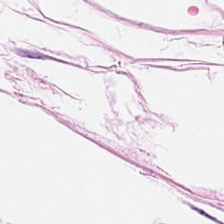WSI patch. Hematoxylin and eosin. FFPE tissue section.
This field is adipose tissue.
